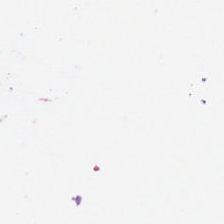H&E.
Q: Classify this patch.
A: The field shows background (no tissue).
